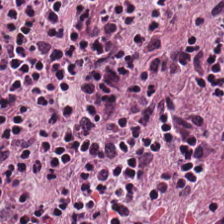Hematoxylin-and-eosin stained section.
Finding — lymphocytic infiltrate.
